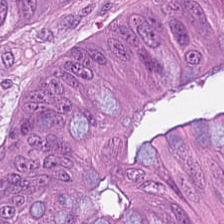Hematoxylin and eosin — Predominantly colorectal adenocarcinoma.
